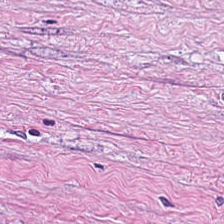H&E-stained tissue section — Cancer-associated stroma.
